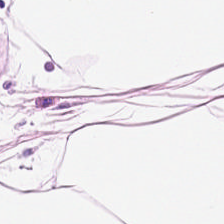H&E-stained tissue section.
This field is adipose.
